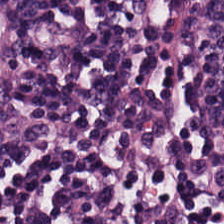H&E — This patch shows lymphocytic infiltrate.
